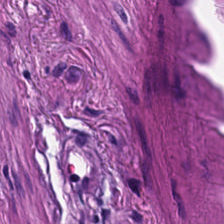Q: What type of tissue is this?
A: Smooth muscle.
